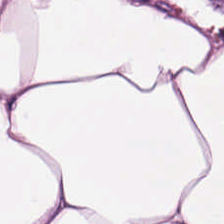Q: What type of tissue is this?
A: It is fat tissue.
